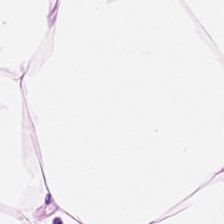FFPE tissue section · hematoxylin-and-eosin stained section.
The classification is adipose tissue.
